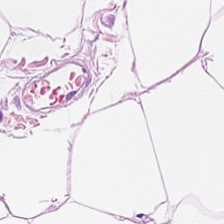Q: What tissue type is shown here?
A: Adipose.
